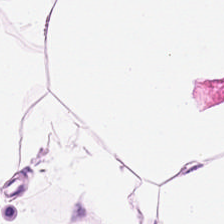H&E-stained tissue section; FFPE tissue section; brightfield. The predominant tissue is adipose tissue.
